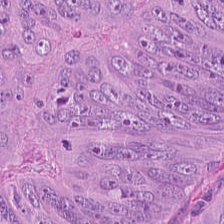Hematoxylin-and-eosin stained section.
This field is malignant epithelium.
